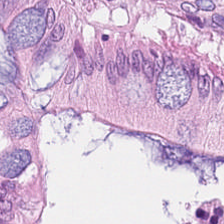H&E-stained tissue section.
Predominantly normal colonic mucosa.
